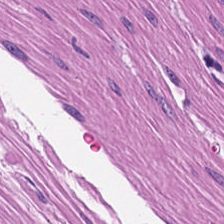H&E.
Predominantly smooth muscle.
